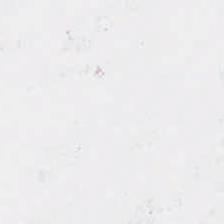Stain: H&E stain.
Acquisition: whole-slide-image patch.
Tile size: 224×224 px patch.
Classification: background.
